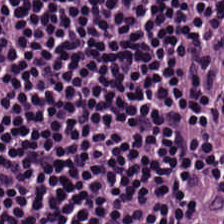H&E · WSI patch.
The tissue here is lymphoid infiltrate.
